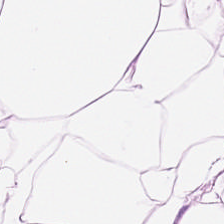Formalin-fixed paraffin-embedded section. Hematoxylin and eosin. 0.5 µm/px.
Impression — fat tissue.
